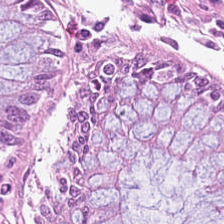H&E-stained tissue section showing non-neoplastic colon mucosa.
